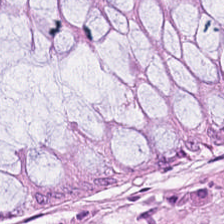Brightfield microscopy. H&E stain.
Classification = non-neoplastic colon mucosa.
